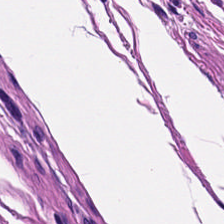H&E-stained tissue section · FFPE tissue section. Predominant tissue = smooth-muscle tissue.
